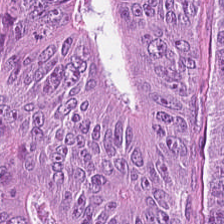This field is colorectal adenocarcinoma.
